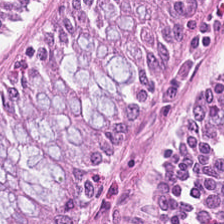0.5 microns per pixel · H&E-stained tissue section.
Tissue type: normal colon mucosa.
